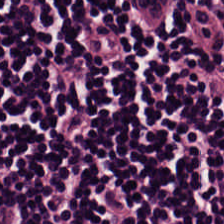224×224 px patch; hematoxylin and eosin. Showing lymphoid infiltrate.
